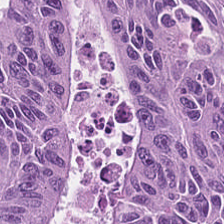0.5 µm per pixel; H&E; 224×224 px tile. Predominantly colorectal adenocarcinoma epithelium.
